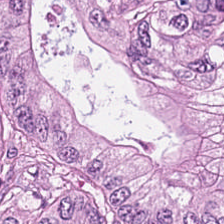FFPE tissue section; H&E stain; brightfield microscopy.
Q: Identify the tissue.
A: Adenocarcinoma.
